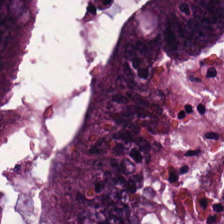224×224 pixel tile; hematoxylin and eosin. Histology — colorectal adenocarcinoma epithelium.
